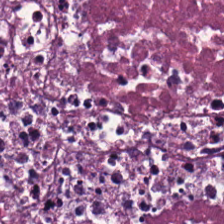H&E-stained tissue section.
Histology — cellular debris.
